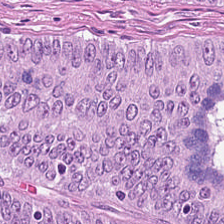Brightfield microscopy; H&E stain.
Tissue type — colorectal adenocarcinoma.
